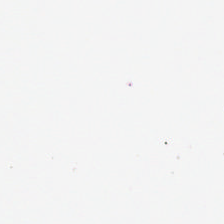This field is background (no tissue).
